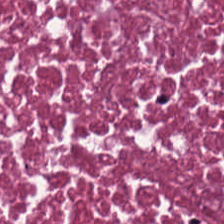H&E-stained tissue section. The tissue here is debris.
